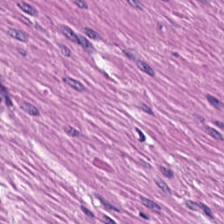0.5 microns per pixel; H&E.
Finding — muscularis.
